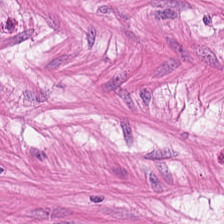H&E-stained tissue section.
The tissue type is smooth muscle.
